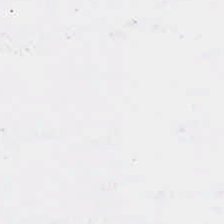Stain: H&E-stained tissue section.
Resolution: 0.5 microns per pixel.
Tile size: 224×224 px tile.
Field content: empty background.
